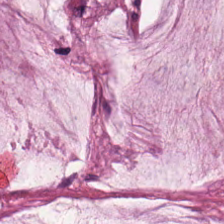Impression — mucus.
